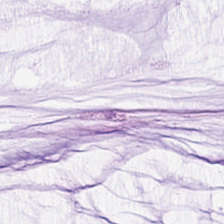Hematoxylin and eosin; formalin-fixed paraffin-embedded section.
The predominant tissue is extracellular mucin.
